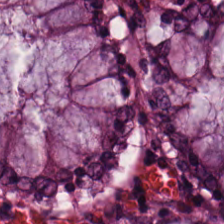The predominant tissue is non-neoplastic colon mucosa.
